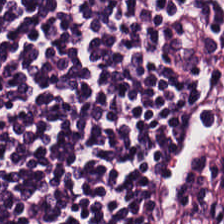Stain: hematoxylin and eosin.
Preparation: formalin-fixed paraffin-embedded section.
Tissue: lymphocytes.
